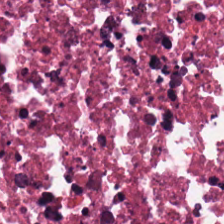224×224 pixel tile · H&E stain. Histology — cellular debris.
